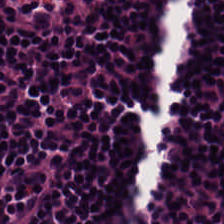H&E · FFPE tissue section · 224×224 pixel tile.
{"tissue_type": "lymphocyte aggregate"}
